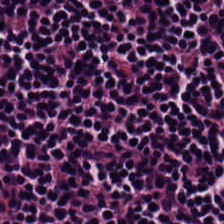Hematoxylin and eosin. Q: Identify the tissue.
A: This is lymphocyte aggregate.
